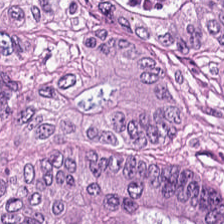0.5 microns per pixel. H&E — Predominant tissue: colorectal adenocarcinoma epithelium.
